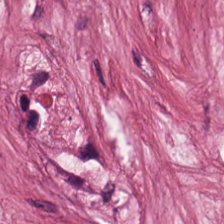H&E-stained tissue section.
Q: What is shown in this field?
A: This is cancer-associated stroma.
